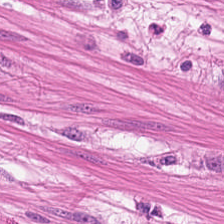0.5 microns per pixel; hematoxylin-and-eosin stained section — Tissue — smooth-muscle tissue.
